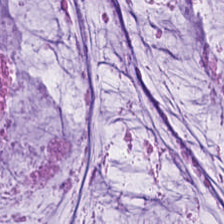H&E stain · 224×224 px patch · FFPE.
Tissue — mucin.
